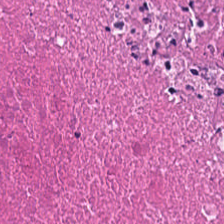H&E. Predominant tissue = debris.
